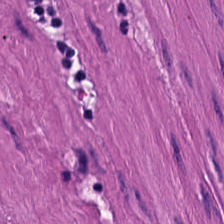H&E-stained tissue section. 224×224 px tile. FFPE tissue section. The tissue here is muscularis.
